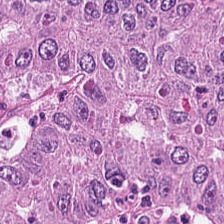Showing tumor epithelium.
